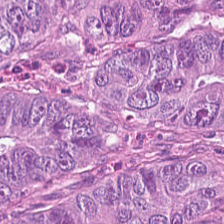{"tissue_type": "colorectal adenocarcinoma epithelium"}
